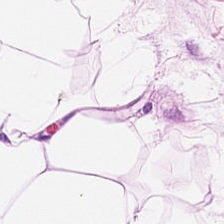H&E. Formalin-fixed paraffin-embedded section.
Predominant tissue = adipose tissue.
